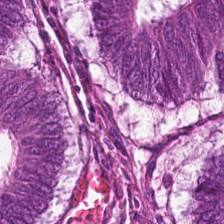Hematoxylin and eosin. Brightfield microscopy — The tissue here is colorectal adenocarcinoma epithelium.
